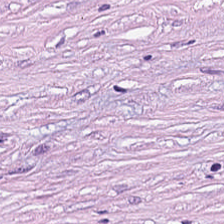Tumor stroma.
